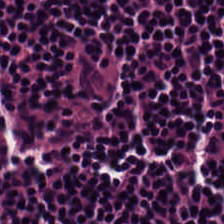H&E-stained tissue section; 20× equivalent magnification; WSI patch.
The predominant tissue is lymphocytic infiltrate.
